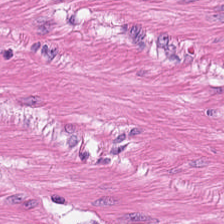Smooth muscle.
